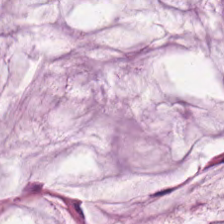H&E-stained tissue section — The predominant tissue is extracellular mucin.
